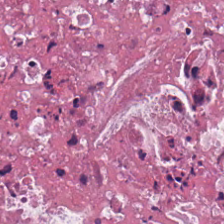Hematoxylin and eosin. Whole-slide-image patch — Showing debris.
